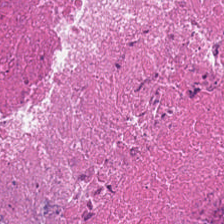H&E stain. {"tissue_type": "necrotic debris"}
